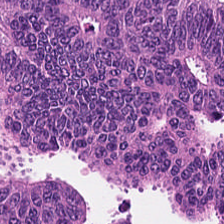Brightfield microscopy. Hematoxylin-and-eosin stained section — Predominantly adenocarcinoma.
